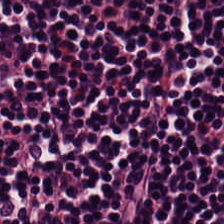H&E-stained tissue section · 0.5 µm/px. The tissue class is lymphocytic infiltrate.
